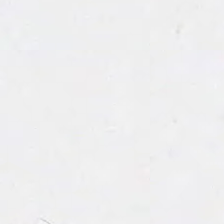H&E.
This patch shows background (no tissue).
